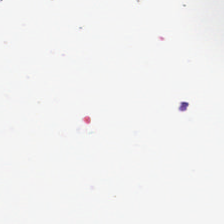No tissue present; background only.
